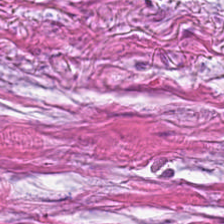H&E stain · formalin-fixed paraffin-embedded section.
Predominant tissue = desmoplastic stroma.
